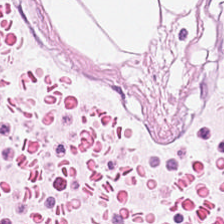{"tissue_type": "adipocytes"}
